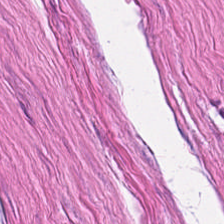Hematoxylin and eosin.
Classification — smooth-muscle tissue.
